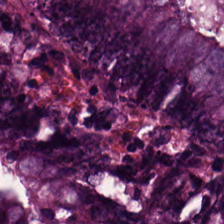Brightfield. FFPE. H&E — This patch shows colorectal adenocarcinoma epithelium.
